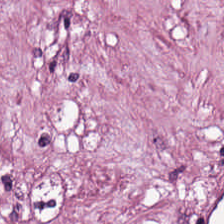Hematoxylin and eosin. Histology → tumor-associated stroma.
